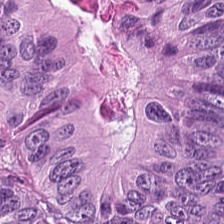20× equivalent magnification; H&E-stained tissue section — Tissue type — malignant epithelium.
